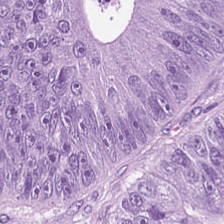0.5 microns per pixel · H&E stain. Predominant tissue — tumor epithelium.
